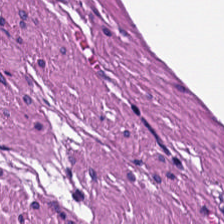Hematoxylin-and-eosin stained section. The classification is muscularis.
